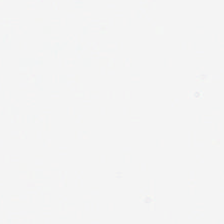Stain: hematoxylin-and-eosin stained section.
Classification: background.
